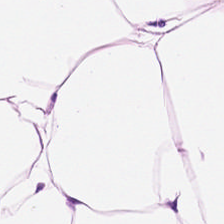Q: What does this patch show?
A: The field shows fat tissue.
